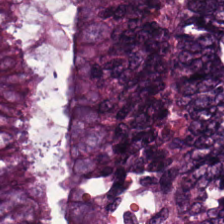H&E stain. 224×224 pixel tile — Showing tumor epithelium.
